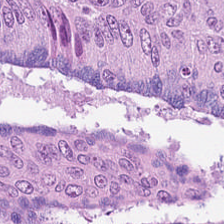20× equivalent magnification. Hematoxylin-and-eosin stained section — Malignant epithelium.
